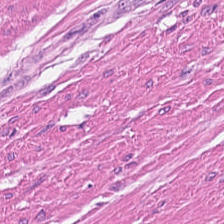H&E. 224×224 pixel tile. Q: What is shown here?
A: Smooth-muscle tissue.
